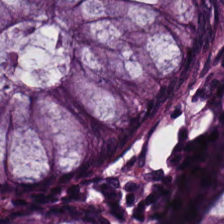Hematoxylin-and-eosin stained section.
Q: What is the predominant tissue type?
A: The field shows normal colonic mucosa.
